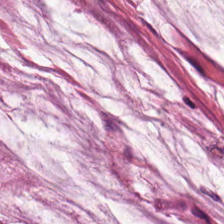Tissue — mucus.
